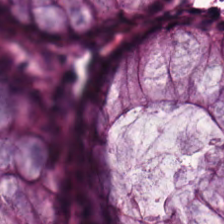Hematoxylin and eosin.
Classification: normal colon mucosa.
